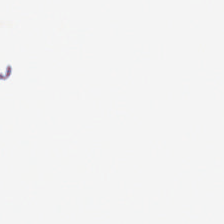0.5 µm per pixel. WSI patch. H&E — The field content is no tissue.
